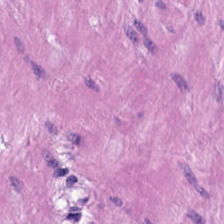Q: What is the predominant tissue type?
A: It is muscularis.
